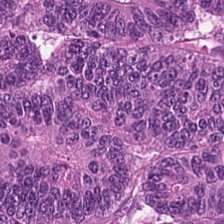Stain: H&E-stained tissue section.
Preparation: formalin-fixed paraffin-embedded section.
Predominant tissue: tumor epithelium.
